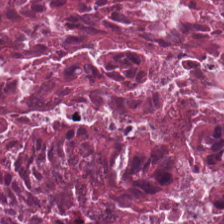H&E stain — Tissue: necrotic debris.
